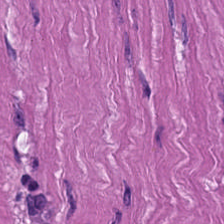The tissue here is muscularis.
